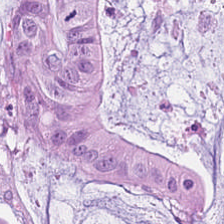H&E; FFPE. This patch shows mucin.
